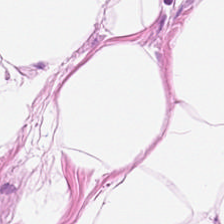H&E-stained tissue section.
Tissue type: adipose tissue.
